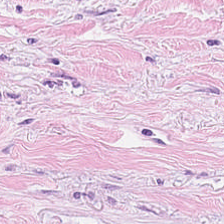H&E-stained tissue section — Q: Identify the tissue.
A: This is tumor-associated stroma.
